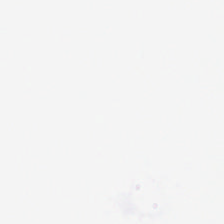H&E.
This patch shows empty background.
